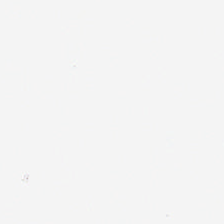Hematoxylin and eosin. Q: Classify this patch.
A: No tissue.
